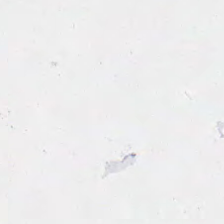Field content = background.
